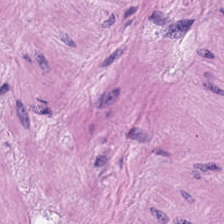H&E-stained tissue section. Histology — muscularis.
